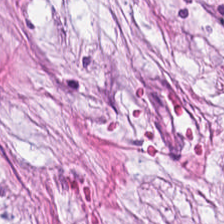H&E. Q: Classify this patch.
A: It is tumor stroma.
